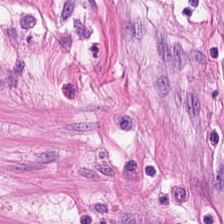H&E. Finding → muscularis.
